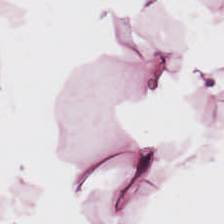H&E-stained tissue section.
Classification = adipose tissue.
